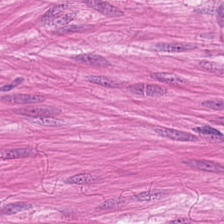Hematoxylin-and-eosin stained section; 224×224 px patch; 20× equivalent magnification — Tissue = muscularis.
